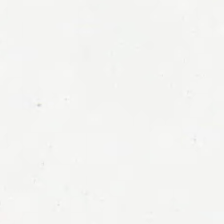H&E-stained tissue section. Brightfield. 224×224 px tile.
This patch shows empty background.
